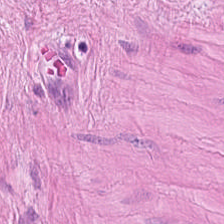224×224 px patch · brightfield microscopy · hematoxylin-and-eosin stained section — Impression → smooth muscle.
